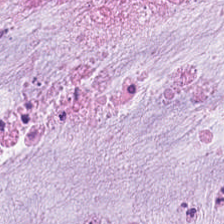Stain: H&E.
Tissue class: extracellular mucin.
